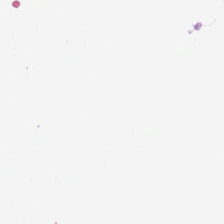Q: Classify this patch.
A: It is background.
